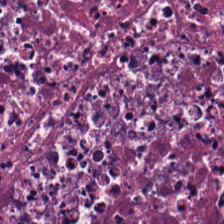Hematoxylin-and-eosin stained section · FFPE tissue section · whole-slide-image patch.
Impression → cellular debris.
